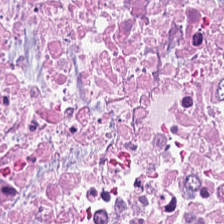224×224 pixel tile. FFPE tissue section. H&E-stained tissue section — The tissue type is cellular debris.
